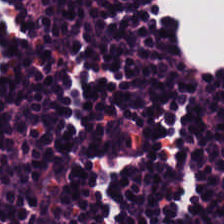Brightfield microscopy; H&E stain — Tissue class — lymphocyte aggregate.
